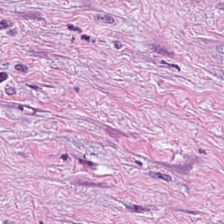Formalin-fixed paraffin-embedded section; whole-slide-image patch; H&E — Classification — tumor-associated stroma.
